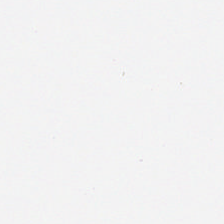H&E stain — This field is background (no tissue).
